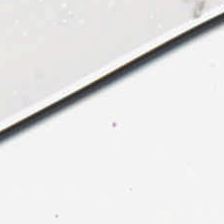Formalin-fixed paraffin-embedded section; H&E-stained tissue section; whole-slide-image patch — This patch shows background.
